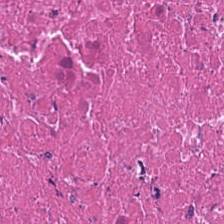Hematoxylin and eosin — {"tissue_type": "debris"}
